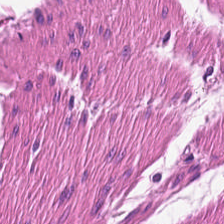Hematoxylin-and-eosin stained section — Finding → muscularis.
